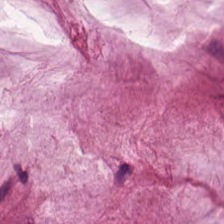0.5 µm per pixel; H&E; brightfield.
Extracellular mucin.
